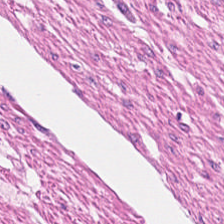H&E · brightfield microscopy. Finding — smooth-muscle tissue.
